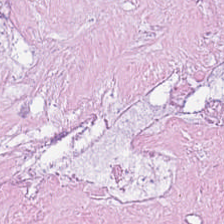H&E stain; FFPE tissue section.
{"tissue_type": "debris"}
